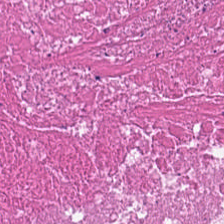Debris.
